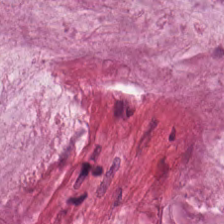Stain: H&E-stained tissue section.
Tissue type: mucus.
